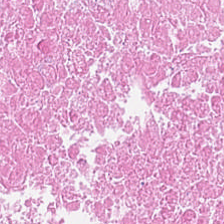Tissue class = necrotic debris.
